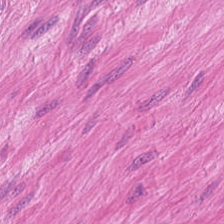Stain: H&E.
Predominant tissue: smooth-muscle tissue.
